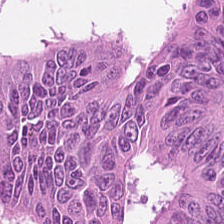H&E stain.
Predominant tissue: colorectal adenocarcinoma epithelium.
